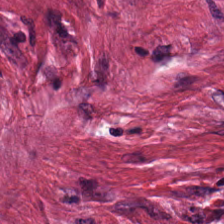Q: Identify the tissue.
A: Cancer-associated stroma.
